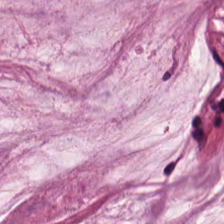H&E-stained tissue section showing mucus.
